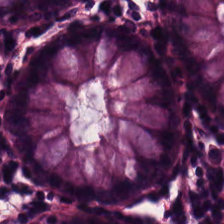Stain: H&E-stained tissue section.
Tissue: benign colonic mucosa.
